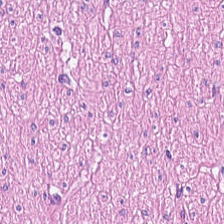Hematoxylin and eosin — The tissue here is muscularis.
